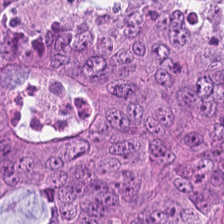Q: What type of tissue is this?
A: Malignant epithelium.
